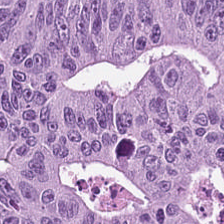H&E-stained tissue section. The tissue is adenocarcinoma.
